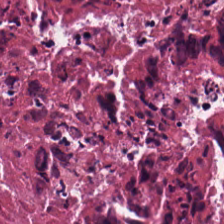H&E-stained tissue section — The tissue class is necrotic debris.
